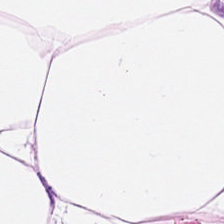FFPE tissue section; brightfield; hematoxylin-and-eosin stained section. Adipose.
